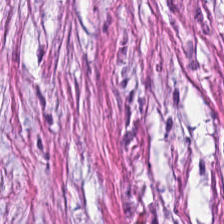The classification is cancer-associated stroma.
